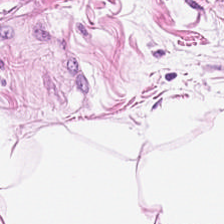H&E-stained tissue section — This patch shows adipocytes.
